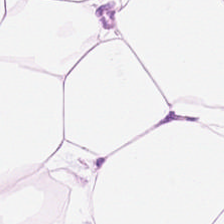This field is fat tissue.
